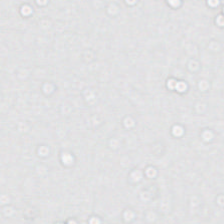H&E-stained tissue section.
The content is background.
